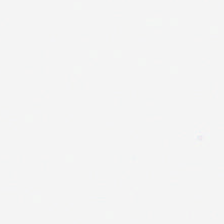Stain: hematoxylin-and-eosin stained section.
Classification: background.
